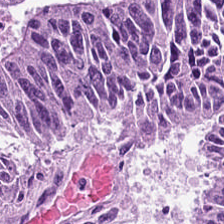Hematoxylin-and-eosin stained section.
The tissue class is colorectal adenocarcinoma epithelium.
